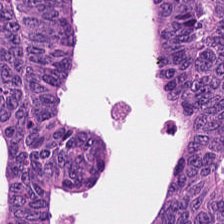FFPE; 224×224 px patch; hematoxylin and eosin — The tissue class is adenocarcinoma.
